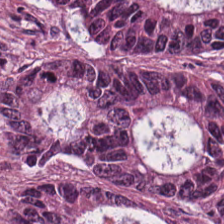H&E; 0.5 microns per pixel.
Tissue class — colorectal adenocarcinoma.
